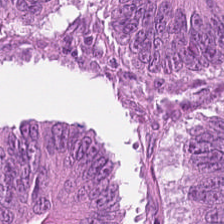Hematoxylin and eosin.
The tissue type is tumor epithelium.
